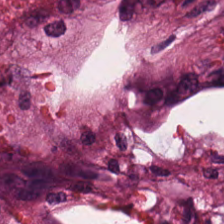FFPE; 224×224 px tile; hematoxylin-and-eosin stained section — Debris.
